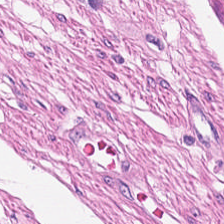Stain: H&E-stained tissue section.
Resolution: 0.5 µm per pixel.
Classification: smooth muscle.
